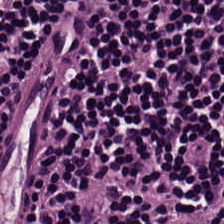Whole-slide-image patch; H&E. Lymphoid infiltrate.
